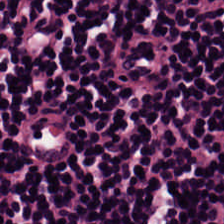H&E-stained tissue section. The predominant tissue is lymphocyte aggregate.
